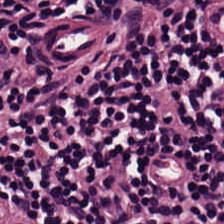Stain: hematoxylin-and-eosin stained section.
Tissue class: lymphocytes.
